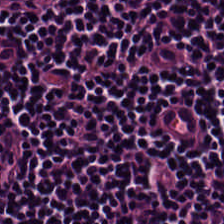Stain: hematoxylin and eosin.
Tile size: 224×224 px tile.
Resolution: 0.5 microns per pixel.
Tissue: lymphocyte aggregate.
